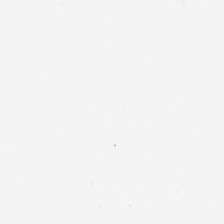H&E.
Impression → empty background.
